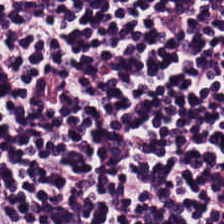Hematoxylin and eosin.
Predominantly lymphocytic infiltrate.
